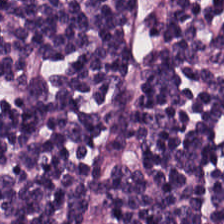Hematoxylin and eosin.
Q: What is shown here?
A: It is lymphocytic infiltrate.
